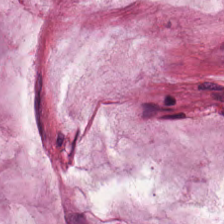H&E-stained tissue section · 0.5 µm/px. The tissue type is extracellular mucin.
